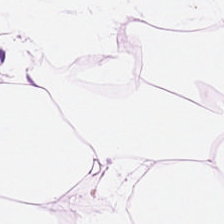H&E — Q: What is shown in this field?
A: Adipose tissue.
